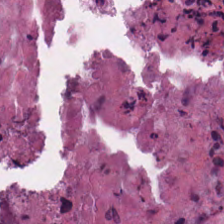H&E — debris.
